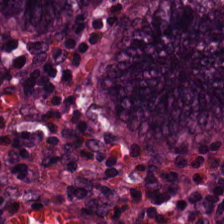Hematoxylin-and-eosin section: normal colon mucosa.
